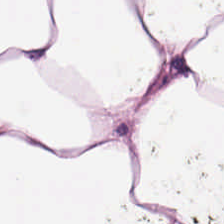Tissue — fat tissue.
